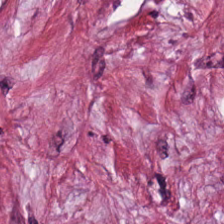H&E stain.
Q: What type of tissue is this?
A: It is cancer-associated stroma.
